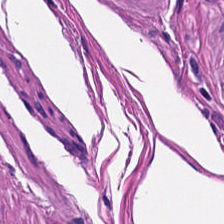H&E — Predominantly smooth-muscle tissue.
